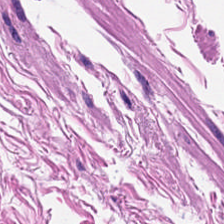Hematoxylin and eosin; 224×224 px patch.
This patch shows muscularis.
